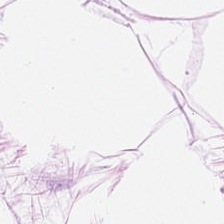Stain: H&E stain.
Tile size: 224×224 px tile.
Classification: fat tissue.
